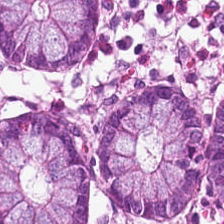Impression — normal colon mucosa.
